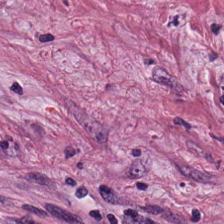0.5 µm/px. H&E stain. FFPE tissue section — The predominant tissue is desmoplastic stroma.
